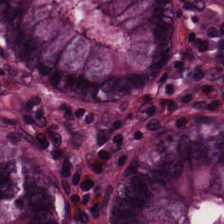H&E-stained tissue section · 0.5 µm/px — The predominant tissue is normal colon mucosa.
